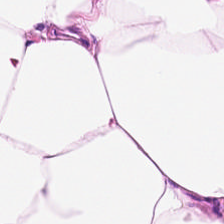Predominantly adipose.
